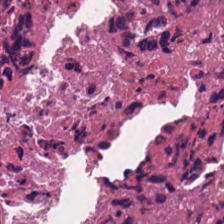20× equivalent magnification · H&E stain.
The predominant tissue is necrotic debris.
